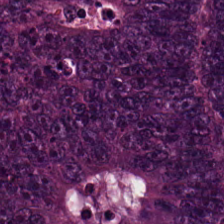Hematoxylin and eosin. Brightfield microscopy — Tissue: adenocarcinoma.
